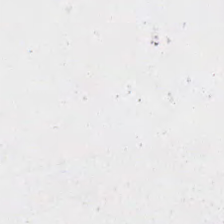Hematoxylin-and-eosin stained section · FFPE · brightfield. No tissue present; background only.
